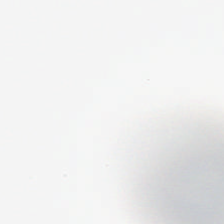H&E stain.
Background (no tissue).
